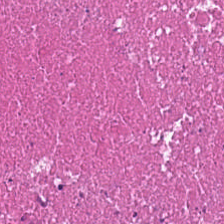Hematoxylin and eosin. The predominant tissue is cellular debris.
